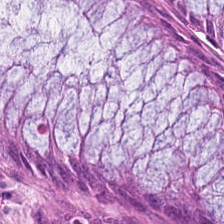20× equivalent magnification. Hematoxylin-and-eosin stained section.
Tissue class — normal colon mucosa.
